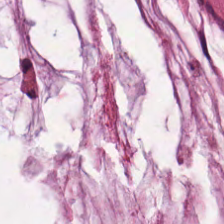H&E. Predominant tissue = extracellular mucin.
